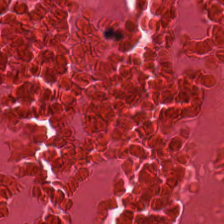H&E-stained tissue section. Q: Identify the tissue.
A: This is necrotic debris.
